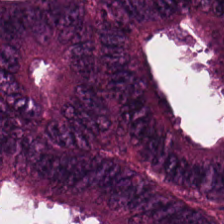This patch shows malignant epithelium.
